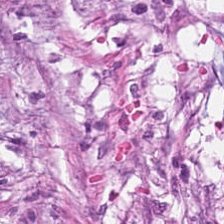H&E stain.
Tissue type — desmoplastic stroma.
